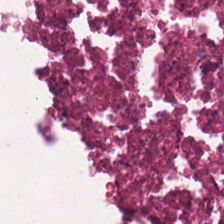H&E-stained tissue section. Impression — cellular debris.
